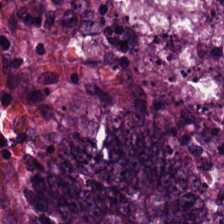Q: What does this patch show?
A: Adenocarcinoma.
